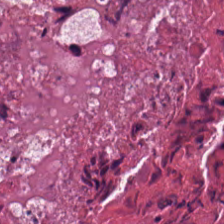H&E stain. Brightfield. This patch shows necrotic debris.
